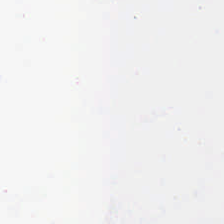Hematoxylin-and-eosin stained section. Classification: no tissue.
